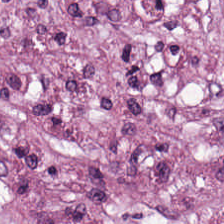Predominant tissue: tumor stroma.
